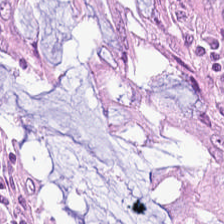H&E stain. This patch shows normal colon mucosa.
